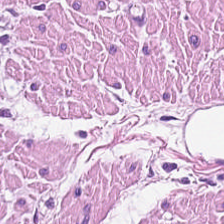224×224 px tile; FFPE; H&E-stained tissue section — This patch shows smooth-muscle tissue.
